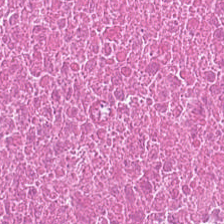The tissue type is debris.
